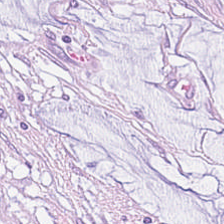Stain: H&E-stained tissue section.
Acquisition: whole-slide-image patch.
Tissue type: mucus.
